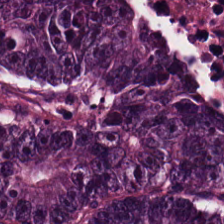Hematoxylin and eosin. Tissue = colorectal adenocarcinoma epithelium.
